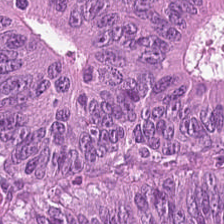Histology — colorectal adenocarcinoma epithelium.
